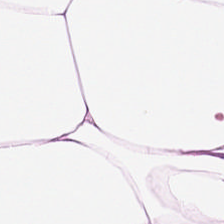Q: Classify this patch.
A: Adipose tissue.
